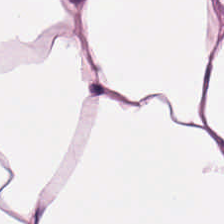H&E stain · brightfield microscopy · 0.5 microns per pixel. Fat tissue.
